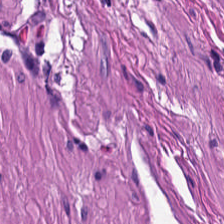FFPE tissue section · H&E.
Tissue: muscularis.
